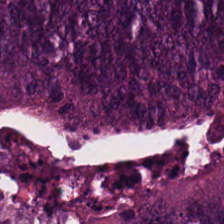H&E-stained tissue section.
Showing colorectal adenocarcinoma.
